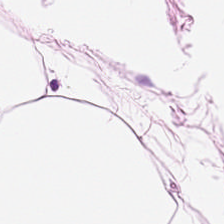H&E — {"tissue_type": "adipocytes"}
